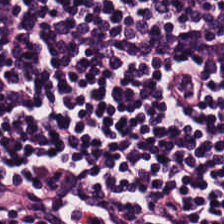Q: Identify the tissue.
A: The field shows lymphoid infiltrate.
